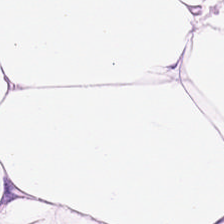H&E stain; FFPE tissue section — This field is adipose tissue.
